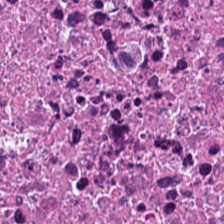Brightfield · hematoxylin-and-eosin stained section · FFPE.
Classification = necrotic debris.
